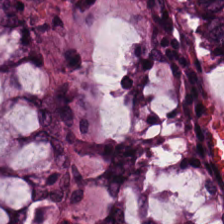WSI patch; H&E-stained tissue section; 0.5 µm/px.
Tissue: normal colonic mucosa.
